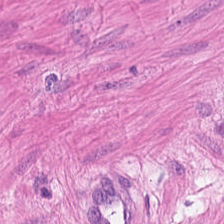H&E-stained tissue section · 0.5 µm per pixel.
Showing smooth-muscle tissue.
